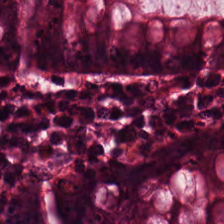Q: What tissue is shown?
A: Normal colon mucosa.
